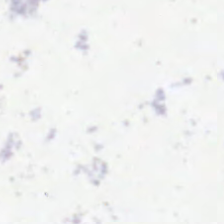H&E-stained tissue section; 0.5 µm per pixel.
No tissue present; background only.
